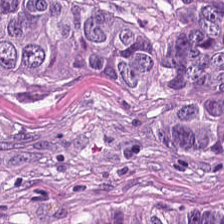H&E. Showing tumor epithelium.
